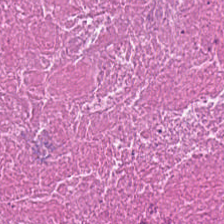H&E.
{"tissue_type": "debris"}
